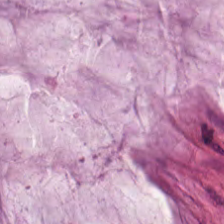Stain: H&E.
Resolution: 0.5 microns per pixel.
Predominant tissue: extracellular mucin.
